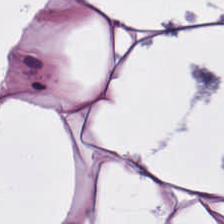Tissue = adipose.
